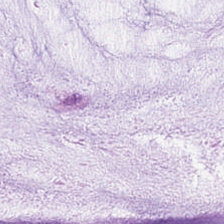H&E-stained tissue section. FFPE. Brightfield microscopy.
Q: What tissue is shown?
A: It is mucin.
